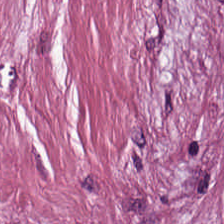Hematoxylin-and-eosin section: tumor-associated stroma.
